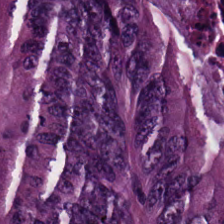H&E-stained tissue section. The tissue here is malignant epithelium.
